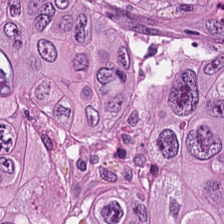H&E. The predominant tissue is malignant epithelium.
